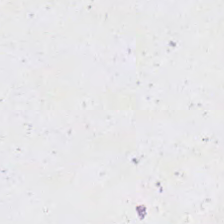H&E stain.
This patch shows no tissue.
